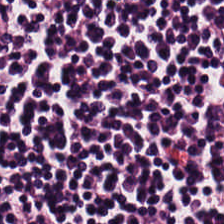H&E. This patch shows lymphocyte aggregate.
